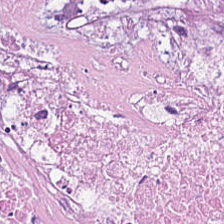Stain: H&E stain.
Preparation: formalin-fixed paraffin-embedded section.
Acquisition: brightfield.
Tissue class: debris.
